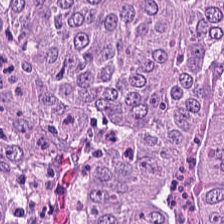H&E-stained tissue section. 224×224 px tile. Brightfield microscopy.
Showing colorectal adenocarcinoma epithelium.
